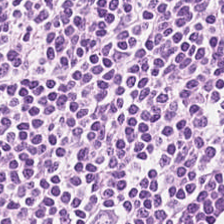FFPE · H&E-stained tissue section · 224×224 px tile.
Tissue type — lymphocytes.
